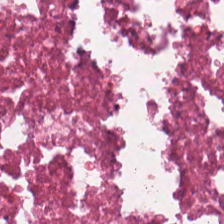Hematoxylin-and-eosin stained section — Tissue = necrotic debris.
